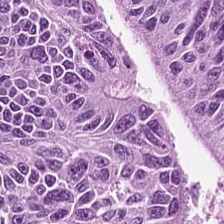H&E-stained tissue section; 224×224 pixel tile. The predominant tissue is adenocarcinoma.
